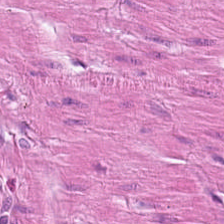The predominant tissue is muscularis.
